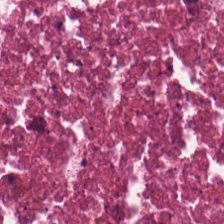Tissue — necrotic debris.
